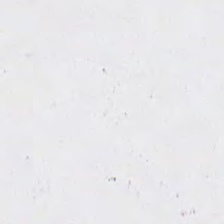Background — no tissue in this field.
